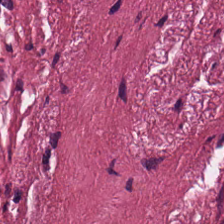Hematoxylin and eosin.
This patch shows tumor-associated stroma.
